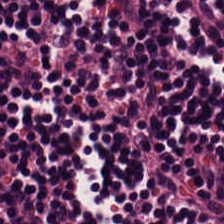Hematoxylin and eosin. Finding — lymphocytic infiltrate.
